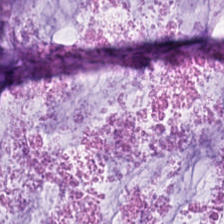Q: What is the predominant tissue type?
A: The field shows mucin.
